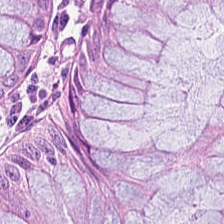Hematoxylin-and-eosin stained section.
Q: Identify the tissue.
A: The field shows normal colon mucosa.
